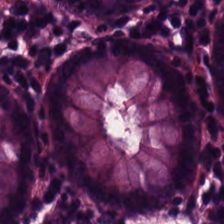Brightfield microscopy. H&E. Formalin-fixed paraffin-embedded section. The classification is normal colonic mucosa.
